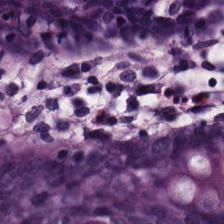Stain: hematoxylin and eosin.
Tissue class: non-neoplastic colon mucosa.
